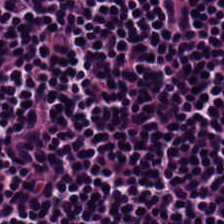H&E stain — Lymphocyte aggregate.
